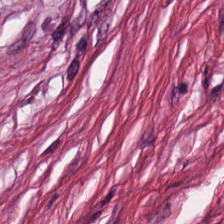H&E stain. 0.5 µm per pixel — Tissue — tumor-associated stroma.
